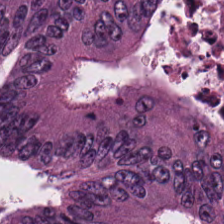Stain: H&E.
Resolution: 0.5 µm per pixel.
Acquisition: brightfield microscopy.
Tissue class: colorectal adenocarcinoma.
